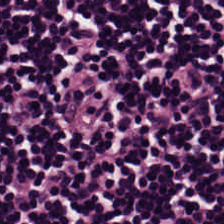H&E-stained tissue section — Lymphocytic infiltrate.
